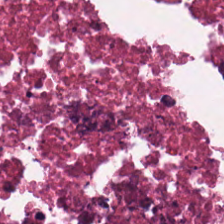H&E patch showing debris.
